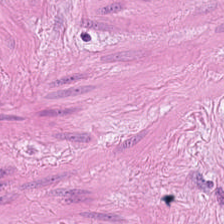Hematoxylin and eosin.
Finding — smooth-muscle tissue.
